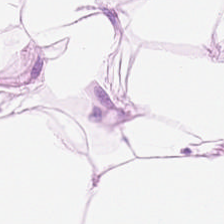Formalin-fixed paraffin-embedded section; 20× equivalent magnification; H&E-stained tissue section. Adipose.
